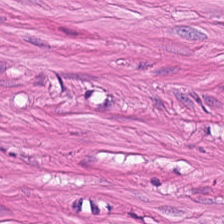Hematoxylin and eosin — Classification = smooth-muscle tissue.
